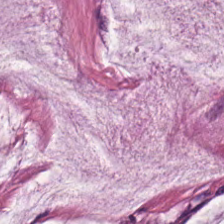H&E stain. This patch shows mucin.
